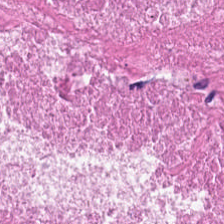Hematoxylin-and-eosin stained section.
Tissue type — necrotic debris.
